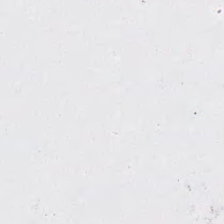H&E stain; 0.5 microns per pixel. Background — no tissue in this field.
